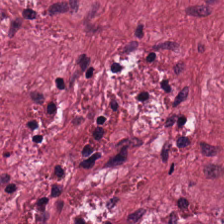Q: What is the predominant tissue type?
A: The field shows cancer-associated stroma.
